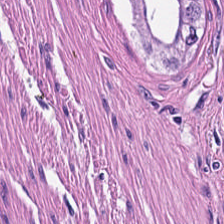This patch shows smooth-muscle tissue.
